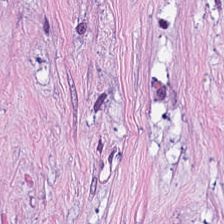H&E-stained tissue section. This patch shows tumor-associated stroma.
